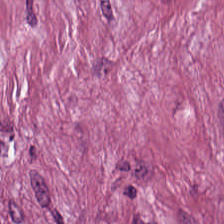224×224 pixel tile · H&E stain · WSI patch — Q: What is the predominant tissue type?
A: It is desmoplastic stroma.
